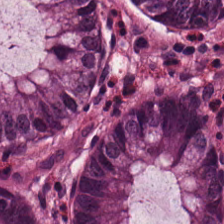Normal colonic mucosa.
